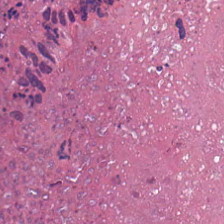Hematoxylin and eosin · 224×224 px tile.
Histology → necrotic debris.
